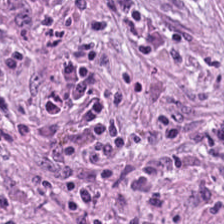H&E.
Tissue type — tumor-associated stroma.
